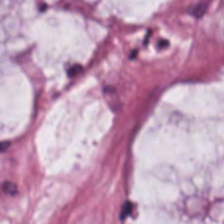H&E. Formalin-fixed paraffin-embedded section. 0.5 µm per pixel.
Q: What type of tissue is this?
A: Extracellular mucin.
